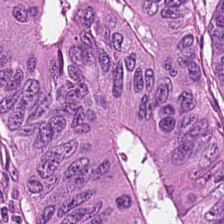Hematoxylin-and-eosin stained section. {"tissue_type": "adenocarcinoma"}
